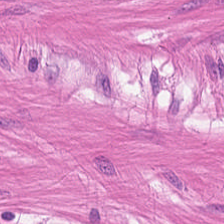H&E stain. 224×224 pixel tile. FFPE tissue section. The predominant tissue is smooth-muscle tissue.
